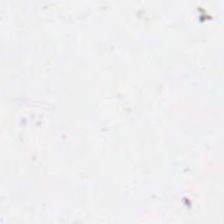Hematoxylin and eosin.
Content = background (no tissue).
